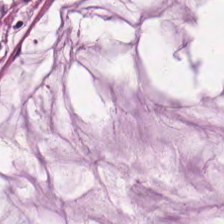Q: What tissue type is shown here?
A: It is extracellular mucin.
